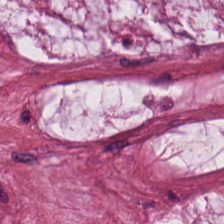H&E stain · 224×224 px patch — Showing mucin.
